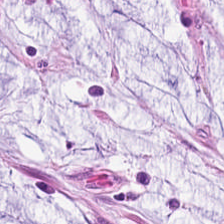Hematoxylin and eosin. Formalin-fixed paraffin-embedded section.
Q: What is the predominant tissue type?
A: Mucin.
